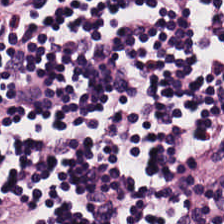Tissue = lymphoid infiltrate.
